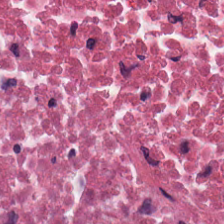Hematoxylin-and-eosin stained section. 20× equivalent magnification.
Debris.
